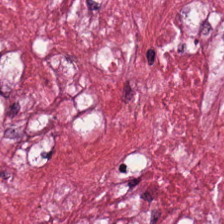H&E-stained tissue section. Histology → cancer-associated stroma.
